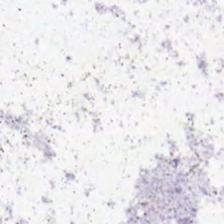Brightfield microscopy · hematoxylin and eosin.
Q: Classify this patch.
A: This is empty background.
